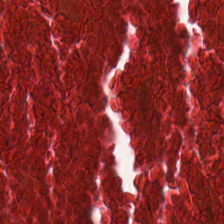FFPE tissue section · hematoxylin and eosin — Tissue: necrotic debris.
